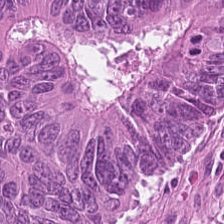Predominant tissue — adenocarcinoma.
